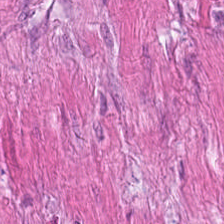Q: What tissue is shown?
A: The field shows muscularis.
